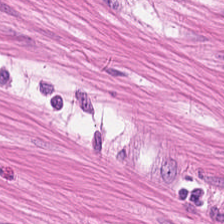Predominant tissue = muscularis.
